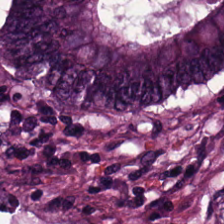FFPE · hematoxylin-and-eosin stained section · 224×224 pixel tile. The predominant tissue is malignant epithelium.
